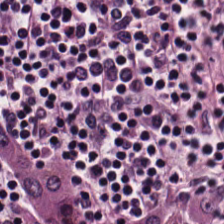Hematoxylin and eosin.
This field is lymphocytes.
